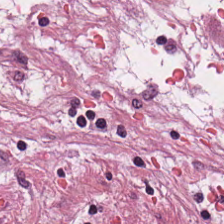H&E — The predominant tissue is cancer-associated stroma.
